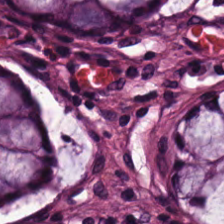H&E.
Tissue class = normal colon mucosa.
